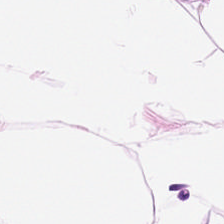WSI patch; hematoxylin-and-eosin stained section; 224×224 pixel tile. The tissue is adipose tissue.
